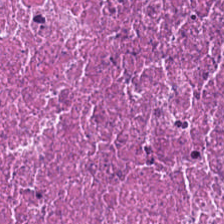H&E stain · 224×224 px patch.
The tissue here is debris.
